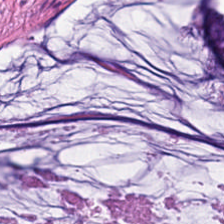Hematoxylin-and-eosin stained section.
The tissue class is extracellular mucin.
